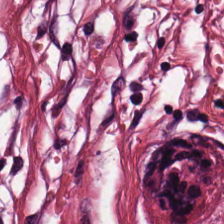FFPE · H&E — This patch shows tumor-associated stroma.
